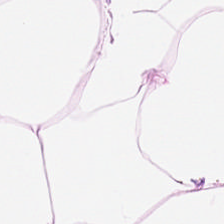Hematoxylin and eosin. Tissue class — adipocytes.
